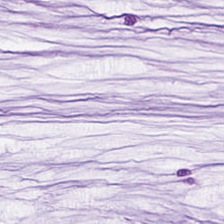The tissue here is mucin.
